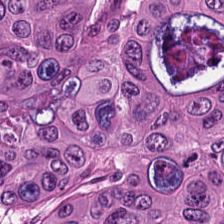Whole-slide-image patch. H&E-stained tissue section — Predominant tissue — adenocarcinoma.
